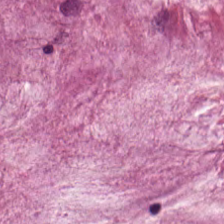H&E-stained tissue section. FFPE — Q: What tissue is shown?
A: This is extracellular mucin.
